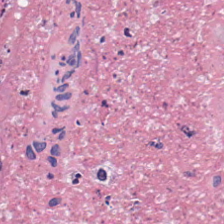FFPE; WSI patch; hematoxylin and eosin — Histology → cellular debris.
